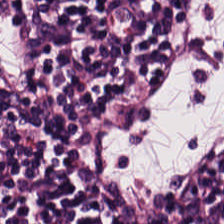Hematoxylin-and-eosin stained section; formalin-fixed paraffin-embedded section — Histology — lymphoid infiltrate.
